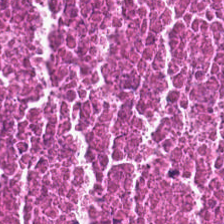Histology — cellular debris.
